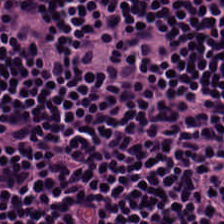H&E. The tissue here is lymphoid infiltrate.
